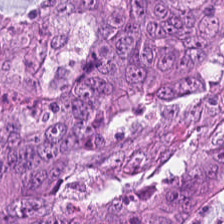Hematoxylin-and-eosin stained section · WSI patch. Histology → colorectal adenocarcinoma epithelium.
